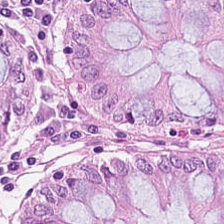H&E. Q: What is shown here?
A: The field shows normal colonic mucosa.
